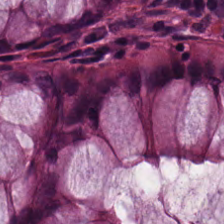Impression — benign colonic mucosa.
